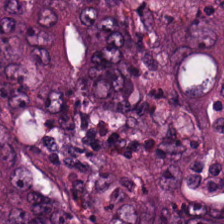H&E-stained tissue section; brightfield.
Tissue type: tumor epithelium.
